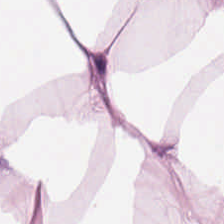H&E stain — This field is adipose tissue.
